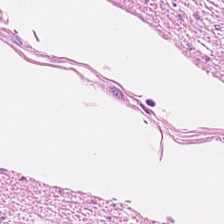H&E-stained tissue section. 20× equivalent magnification. Brightfield. This field is muscularis.
